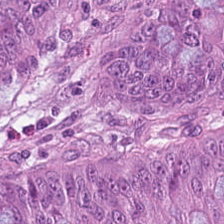{"tissue_type": "colorectal adenocarcinoma epithelium"}
